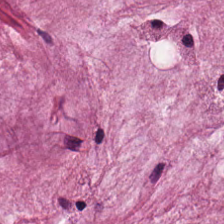Hematoxylin and eosin.
Predominantly mucin.
